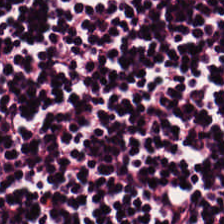20× equivalent magnification. Hematoxylin and eosin. Q: What type of tissue is this?
A: The field shows lymphocytes.
